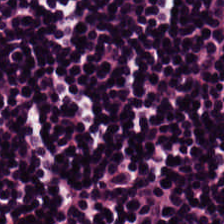Showing lymphocytes.
